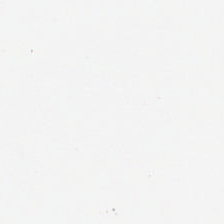H&E. The content is background.
